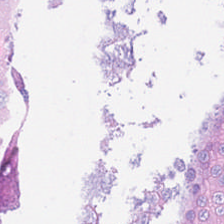Hematoxylin-and-eosin stained section · 0.5 µm/px. {"tissue_type": "adenocarcinoma"}
